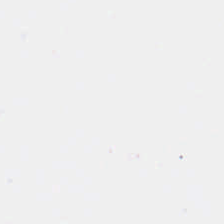Whole-slide-image patch; H&E-stained tissue section.
Content: no tissue.
